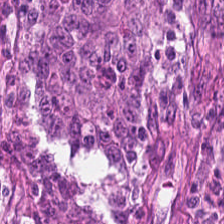H&E.
Q: What is the predominant tissue type?
A: This is malignant epithelium.
